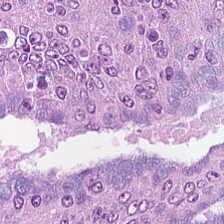Hematoxylin and eosin; FFPE; brightfield microscopy.
The classification is colorectal adenocarcinoma.
